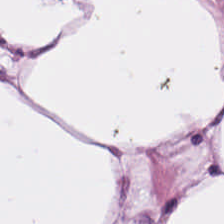Hematoxylin-and-eosin stained section.
Predominantly adipocytes.
